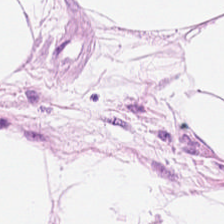Stain: hematoxylin-and-eosin stained section.
Preparation: FFPE.
Tissue: adipose.
